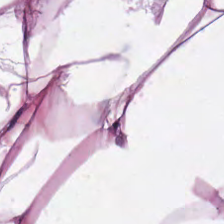H&E stain. Q: What is shown in this field?
A: The field shows adipocytes.
